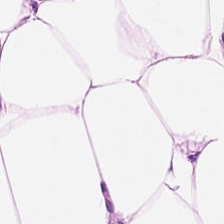Hematoxylin-and-eosin section: adipose tissue.
